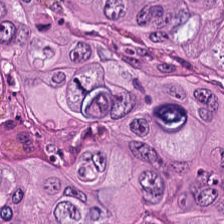Brightfield. H&E-stained tissue section. 20× equivalent magnification.
Tissue type = tumor epithelium.
